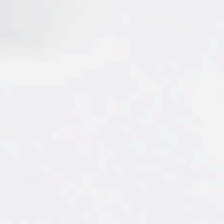Stain: H&E-stained tissue section.
Classification: background.
